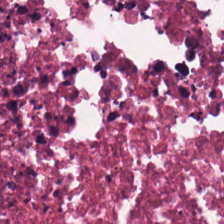H&E.
Finding — necrotic debris.
